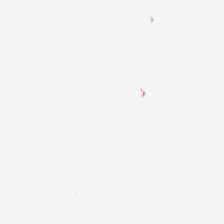20× equivalent magnification. H&E-stained tissue section. Whole-slide-image patch. Background (no tissue).
